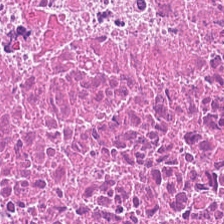H&E.
Q: What tissue is shown?
A: This is necrotic debris.
